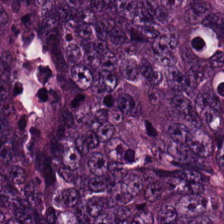The tissue is malignant epithelium.
